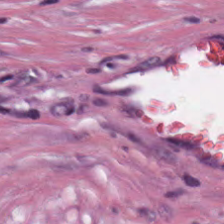H&E-stained tissue section.
Q: What type of tissue is this?
A: The field shows tumor-associated stroma.
